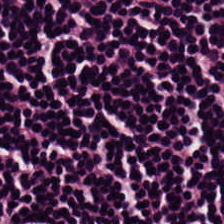Stain: hematoxylin and eosin.
Tissue type: lymphocytic infiltrate.
